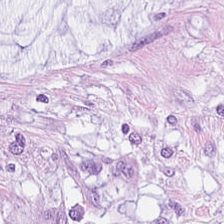Hematoxylin-and-eosin stained section — Tissue — mucin.
